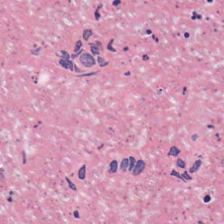Hematoxylin-and-eosin stained section. Brightfield microscopy. Impression — debris.
